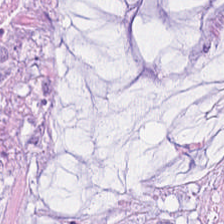H&E.
The tissue is mucin.
